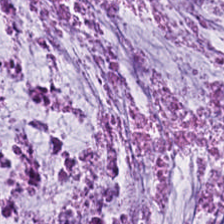Tissue class — mucus.
